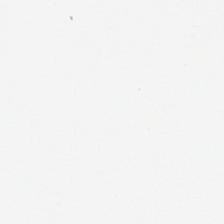No tissue present; background only.
